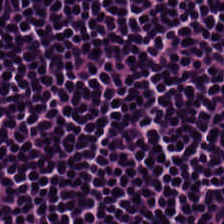224×224 px tile · hematoxylin-and-eosin stained section — Q: What tissue is shown?
A: This is lymphocytic infiltrate.
